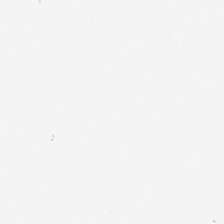H&E-stained tissue section. Impression → background.
